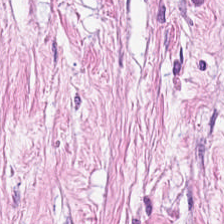20× equivalent magnification. WSI patch. H&E-stained tissue section.
Tissue type — tumor-associated stroma.
